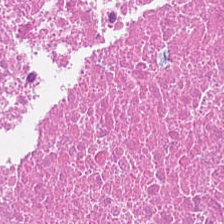H&E-stained tissue section.
The tissue here is cellular debris.
